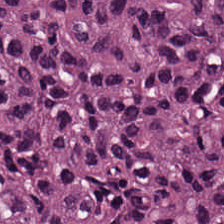H&E stain. Tissue: malignant epithelium.
